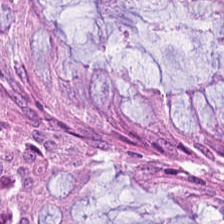The predominant tissue is normal colonic mucosa.
